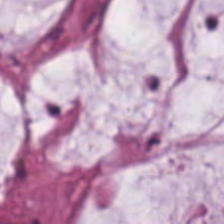Hematoxylin-and-eosin stained section. 224×224 px tile.
Showing mucin.
